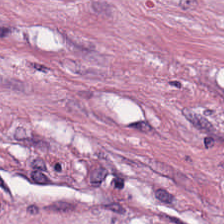Hematoxylin and eosin · FFPE tissue section · 20× equivalent magnification.
Cancer-associated stroma.
